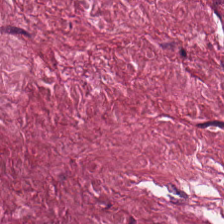H&E; 20× equivalent magnification. Predominantly tumor stroma.
